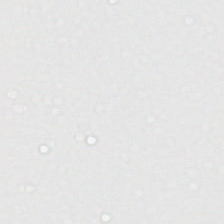Field content: no tissue.
